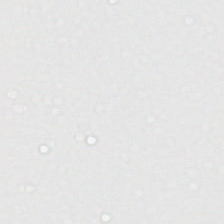Field content: no tissue.
